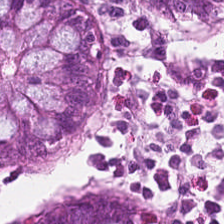WSI patch; H&E stain; 0.5 microns per pixel — Tissue: normal colonic mucosa.
